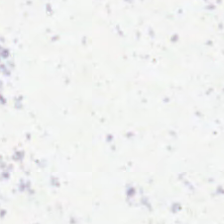FFPE; H&E. Q: What is shown in this field?
A: Background (no tissue).
